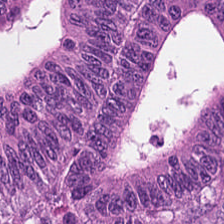Stain: H&E.
Predominant tissue: tumor epithelium.
